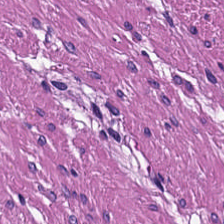H&E stain — Showing smooth-muscle tissue.
